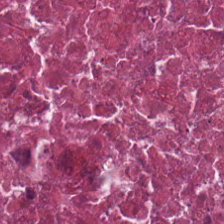Stain: hematoxylin-and-eosin stained section.
Classification: necrotic debris.
